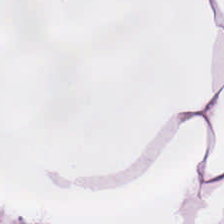20× equivalent magnification; WSI patch; H&E — Q: What is shown in this field?
A: This is adipocytes.
